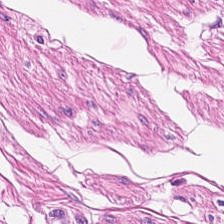H&E — Histology — smooth muscle.
